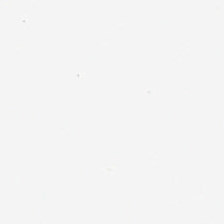FFPE · 0.5 µm/px · hematoxylin and eosin. Finding — background (no tissue).
